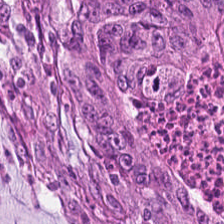Hematoxylin and eosin.
The predominant tissue is tumor epithelium.
